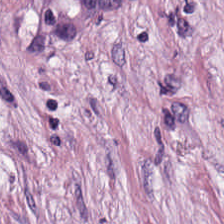WSI patch · hematoxylin-and-eosin stained section.
{"tissue_type": "desmoplastic stroma"}
